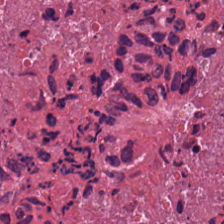{"tissue_type": "cellular debris"}
